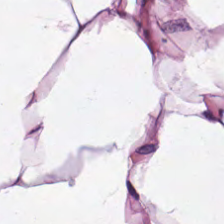Hematoxylin-and-eosin stained section — Showing adipose tissue.
